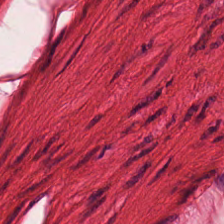H&E; whole-slide-image patch; 0.5 microns per pixel. Q: Classify this patch.
A: The field shows smooth muscle.
